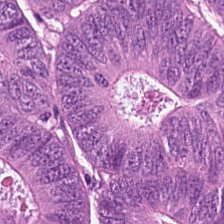Impression — colorectal adenocarcinoma.
